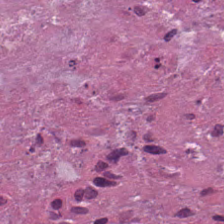H&E stain. This field is necrotic debris.
